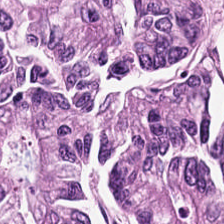Hematoxylin-and-eosin stained section. 224×224 pixel tile. This field is malignant epithelium.
